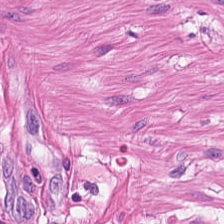Formalin-fixed paraffin-embedded section; H&E. Classification: smooth-muscle tissue.
